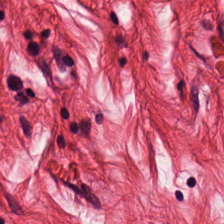Stain: H&E.
Resolution: 0.5 µm per pixel.
Classification: smooth-muscle tissue.
